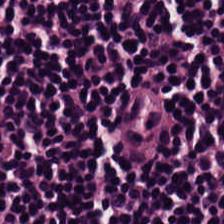Brightfield microscopy · H&E. Impression → lymphocytes.
